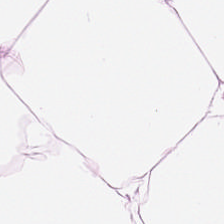H&E stain. {"tissue_type": "adipose"}
